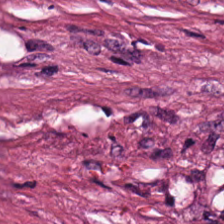Hematoxylin-and-eosin stained section; 224×224 px tile.
The tissue here is cellular debris.
